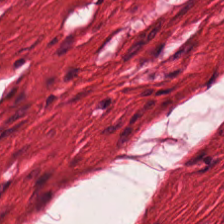H&E-stained tissue section — Q: Identify the tissue.
A: This is muscularis.
